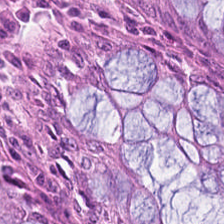Brightfield · hematoxylin and eosin.
Finding — non-neoplastic colon mucosa.
